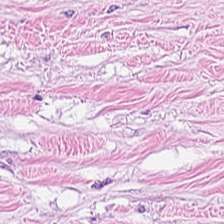Hematoxylin-and-eosin stained section.
The tissue here is tumor stroma.
